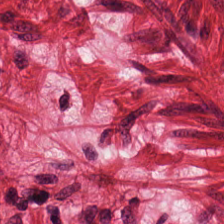Formalin-fixed paraffin-embedded section; 0.5 µm/px; hematoxylin and eosin — {"tissue_type": "smooth-muscle tissue"}
